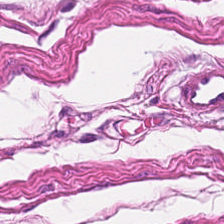The predominant tissue is muscularis.
